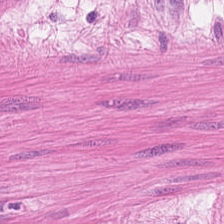Whole-slide-image patch · hematoxylin and eosin.
Finding → smooth muscle.
